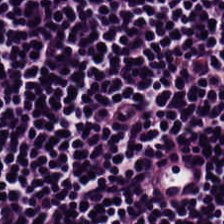Hematoxylin and eosin. Impression → lymphocytes.
